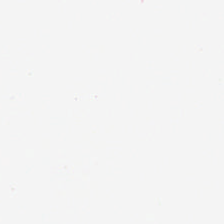Hematoxylin-and-eosin stained section; FFPE tissue section; 224×224 pixel tile. Q: What is shown in this field?
A: The field shows empty background.
